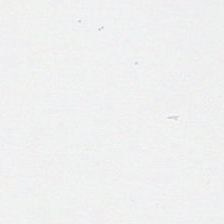H&E. Impression — background (no tissue).
